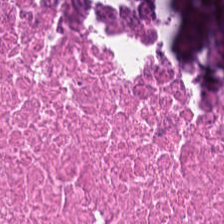224×224 px tile; H&E stain — Classification = necrotic debris.
